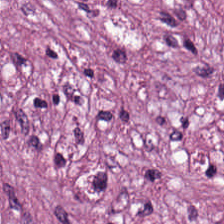H&E. FFPE tissue section — Classification: tumor-associated stroma.
